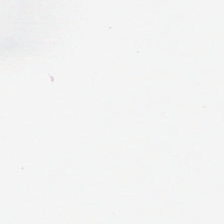Hematoxylin-and-eosin stained section — Empty field — no tissue.
